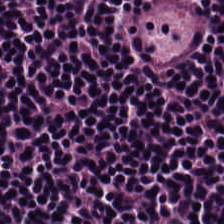Hematoxylin and eosin. 224×224 px patch. Formalin-fixed paraffin-embedded section.
The tissue class is lymphocytes.
